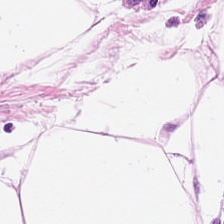H&E stain.
This patch shows fat tissue.
